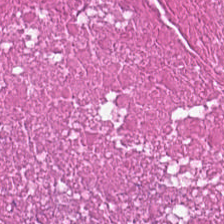FFPE tissue section; H&E-stained tissue section — Necrotic debris.
